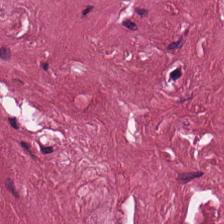The tissue class is desmoplastic stroma.
